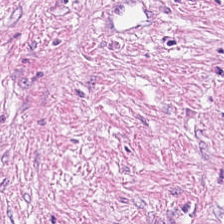Hematoxylin-and-eosin stained section · brightfield microscopy — This patch shows cancer-associated stroma.
